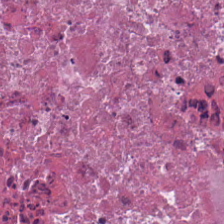Hematoxylin-and-eosin section: debris.
